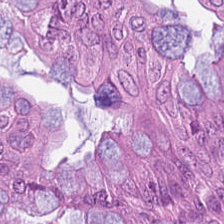Classification = colorectal adenocarcinoma epithelium.
